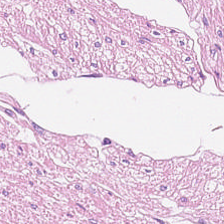224×224 px tile; hematoxylin and eosin — Predominant tissue = muscularis.
